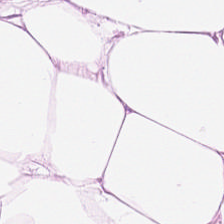Hematoxylin-and-eosin stained section. Impression → adipose.
